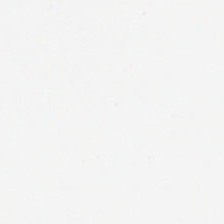Field content: no tissue.
